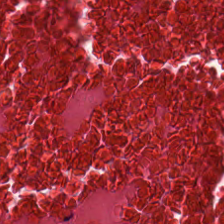224×224 pixel tile; formalin-fixed paraffin-embedded section; H&E-stained tissue section.
Necrotic debris.
